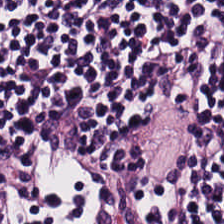H&E-stained tissue section. The tissue here is lymphocyte aggregate.
